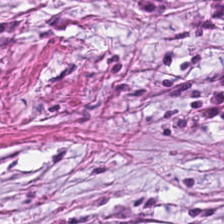{"tissue_type": "tumor-associated stroma"}
